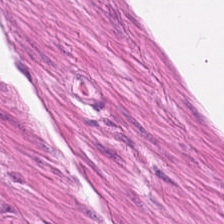Whole-slide-image patch. H&E-stained tissue section. 0.5 microns per pixel.
Predominantly smooth muscle.
